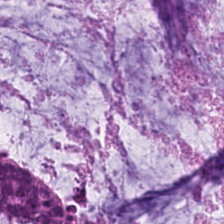H&E-stained tissue section; brightfield microscopy; 0.5 microns per pixel. Tissue type: mucus.
